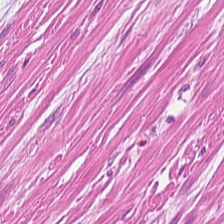H&E-stained tissue section. FFPE tissue section. 224×224 px tile.
{"tissue_type": "smooth muscle"}
